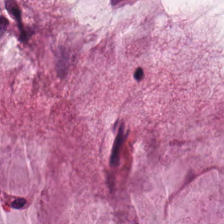Hematoxylin-and-eosin stained section · 0.5 µm per pixel — Finding — mucin.
